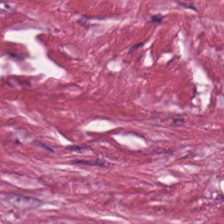H&E stain. Predominantly tumor stroma.
